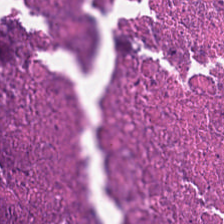H&E-stained tissue section — Finding — necrotic debris.
